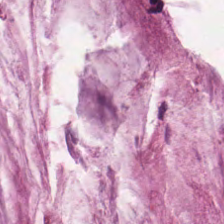H&E stain. Finding — extracellular mucin.
